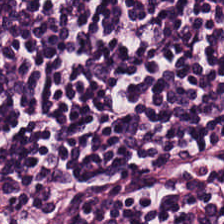H&E-stained tissue section; WSI patch. Q: What is shown in this field?
A: It is lymphocytic infiltrate.
